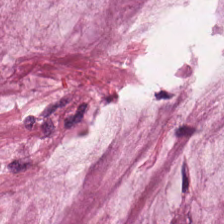Finding → extracellular mucin.
